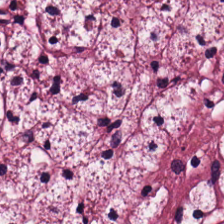224×224 px tile; H&E stain; FFPE — Classification = tumor stroma.
